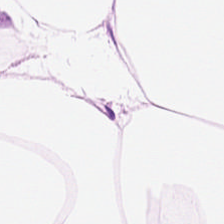Hematoxylin-and-eosin stained section · 224×224 pixel tile · WSI patch — The predominant tissue is fat tissue.
